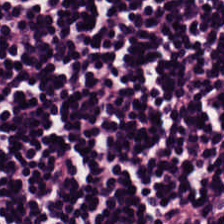H&E. Tissue type — lymphocytic infiltrate.
